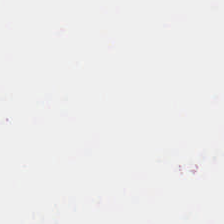Q: What is shown here?
A: This is no tissue.
